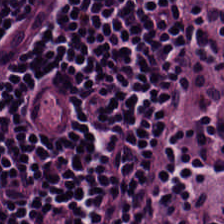WSI patch. H&E stain. 0.5 µm/px — The tissue here is lymphocyte aggregate.
